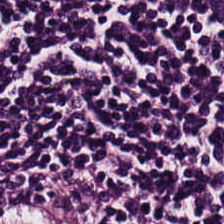FFPE; H&E — {"tissue_type": "lymphocytic infiltrate"}
